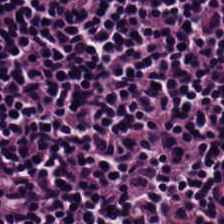H&E. WSI patch.
Q: Classify this patch.
A: Lymphocyte aggregate.
